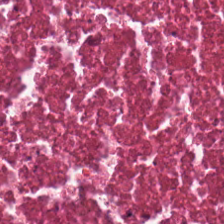FFPE tissue section · H&E-stained tissue section. The tissue here is necrotic debris.
